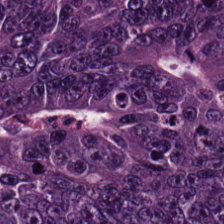WSI patch; H&E stain. Predominant tissue — colorectal adenocarcinoma.
